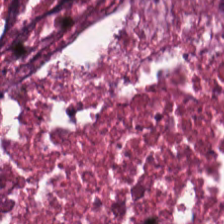Hematoxylin and eosin — Q: What tissue type is shown here?
A: It is cellular debris.
